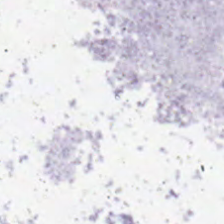H&E stain. Q: What is shown here?
A: It is background.
